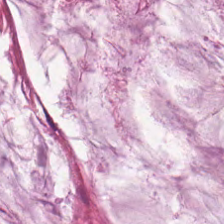The predominant tissue is mucus.
